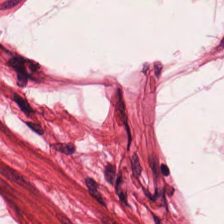Hematoxylin and eosin — Classification: muscularis.
